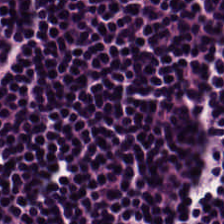H&E-stained tissue section; FFPE.
The classification is lymphocytic infiltrate.
